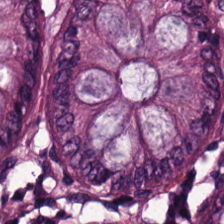Hematoxylin and eosin — Q: What is shown here?
A: The field shows normal colon mucosa.
